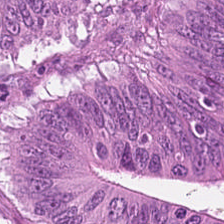H&E stain. 224×224 px tile. FFPE.
Q: What is the predominant tissue type?
A: It is malignant epithelium.
